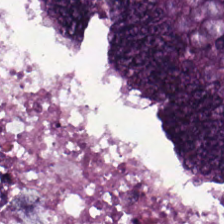20× equivalent magnification. H&E-stained tissue section.
Q: Identify the tissue.
A: It is colorectal adenocarcinoma epithelium.
